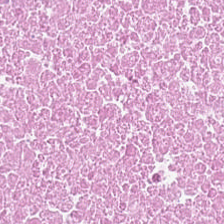H&E-stained tissue section · 224×224 px tile — The predominant tissue is cellular debris.
